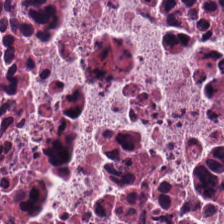Hematoxylin-and-eosin stained section.
Debris.
